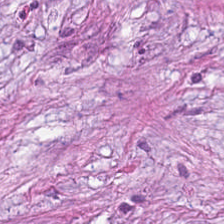Hematoxylin and eosin. Finding — tumor-associated stroma.
